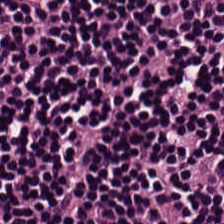224×224 px tile; H&E stain — Q: Identify the tissue.
A: This is lymphocytic infiltrate.
